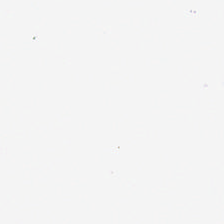H&E-stained tissue section.
Content — background (no tissue).
